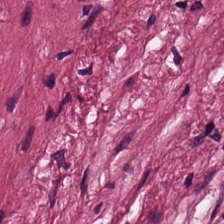H&E stain — The tissue type is cancer-associated stroma.
